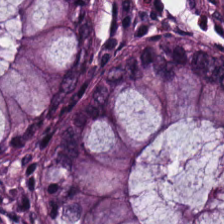224×224 px tile. H&E stain.
Showing benign colonic mucosa.
